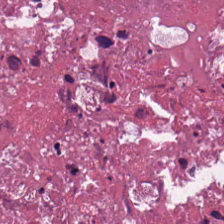Impression — necrotic debris.
